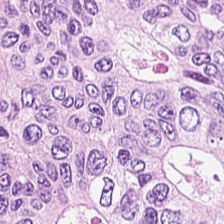H&E-stained tissue section showing tumor epithelium.
